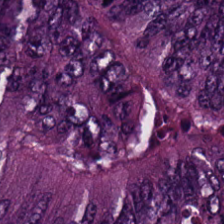H&E; 20× equivalent magnification. Classification: adenocarcinoma.
